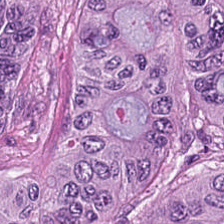0.5 µm per pixel. Hematoxylin-and-eosin stained section. Tumor epithelium.
